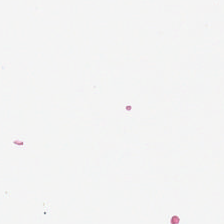No tissue present; background only.
